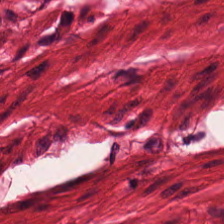Predominant tissue = smooth-muscle tissue.
